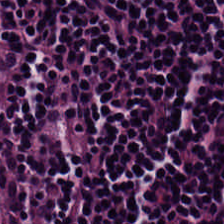Stain: hematoxylin and eosin.
Predominant tissue: lymphocyte aggregate.
